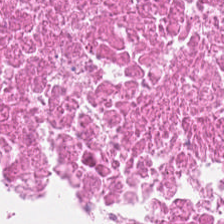H&E-stained tissue section · 0.5 µm per pixel.
Q: Identify the tissue.
A: The field shows debris.
